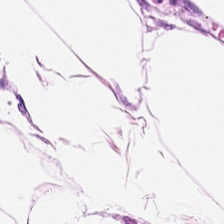Tissue class = adipose tissue.
